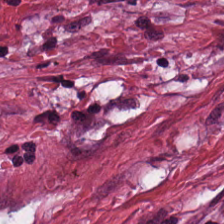Tissue: tumor stroma.
